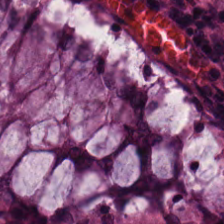Hematoxylin-and-eosin stained section — This patch shows normal colonic mucosa.
